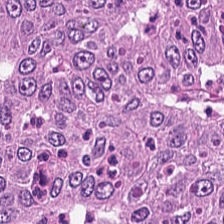Whole-slide-image patch. H&E-stained tissue section. The tissue is tumor epithelium.
